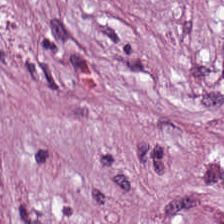Hematoxylin and eosin. Classification — desmoplastic stroma.
